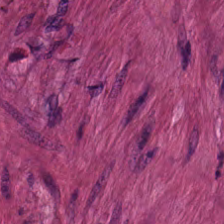{"tissue_type": "smooth-muscle tissue"}
